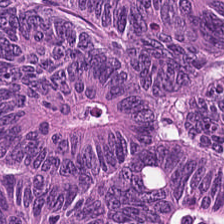Stain: hematoxylin-and-eosin stained section.
Resolution: 0.5 µm per pixel.
Tissue: colorectal adenocarcinoma epithelium.
